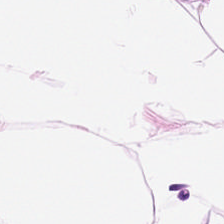Predominant tissue: fat tissue.
